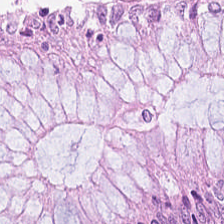FFPE; hematoxylin-and-eosin stained section.
Showing normal colon mucosa.
